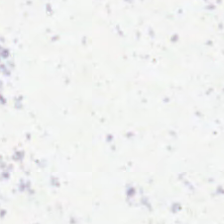Content: background (no tissue).
